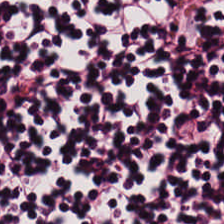Hematoxylin-and-eosin stained section. Q: What tissue type is shown here?
A: The field shows lymphocytic infiltrate.
